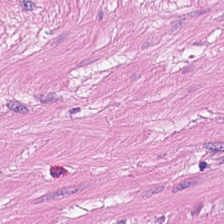20× equivalent magnification. H&E.
Tissue class = smooth muscle.
